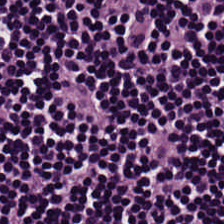Hematoxylin and eosin.
Predominant tissue — lymphocyte aggregate.
